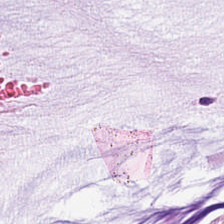H&E. Q: What is shown here?
A: This is mucus.
